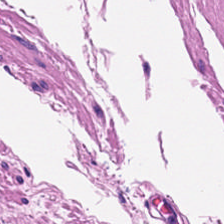H&E — Q: What is shown here?
A: It is smooth muscle.
